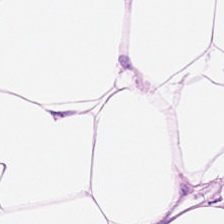0.5 µm/px · H&E-stained tissue section.
Showing adipocytes.
